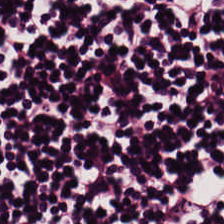Stain: H&E-stained tissue section.
Preparation: FFPE.
Tissue class: lymphocytes.
